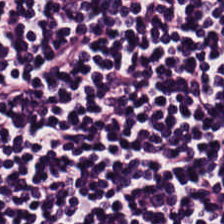Predominant tissue = lymphocytic infiltrate.
